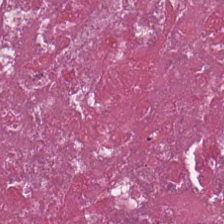Tissue type: cellular debris.
